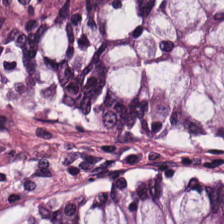H&E-stained tissue section. Q: What is shown here?
A: The field shows benign colonic mucosa.
